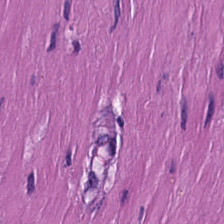Hematoxylin-and-eosin stained section; whole-slide-image patch; formalin-fixed paraffin-embedded section — The tissue here is muscularis.
